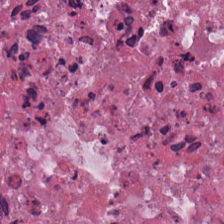Brightfield microscopy · H&E-stained tissue section.
The predominant tissue is cellular debris.
